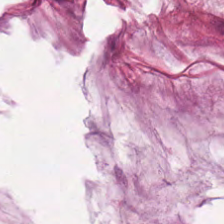Classification = mucin.
